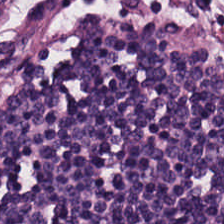Stain: hematoxylin and eosin.
Tissue class: lymphocytic infiltrate.
